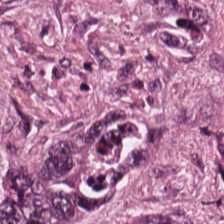Tissue type — colorectal adenocarcinoma.
